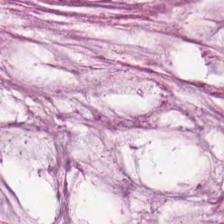Classification: mucus.
